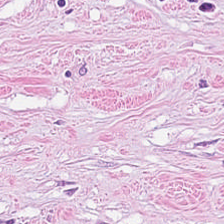Stain: hematoxylin-and-eosin stained section.
Tissue class: tumor-associated stroma.
